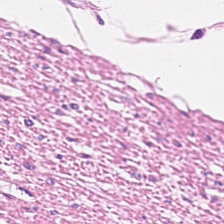Hematoxylin-and-eosin stained section; brightfield microscopy — Q: Identify the tissue.
A: The field shows muscularis.
